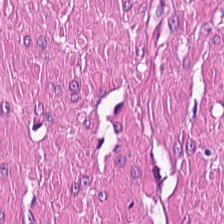Hematoxylin and eosin. The tissue here is smooth muscle.
